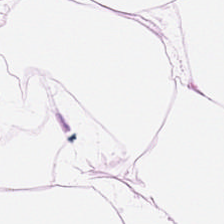224×224 px tile; hematoxylin-and-eosin stained section.
Q: What is the predominant tissue type?
A: Adipose.
